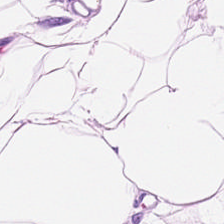H&E — The tissue class is fat tissue.
